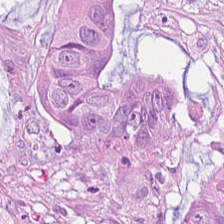Hematoxylin-and-eosin stained section.
{"tissue_type": "malignant epithelium"}
